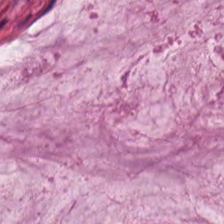0.5 µm/px. Whole-slide-image patch. H&E stain. Predominant tissue — mucus.
